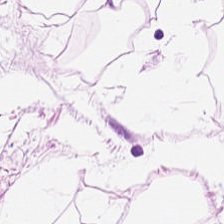H&E.
This patch shows adipose.
